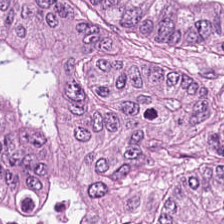Stain: hematoxylin-and-eosin stained section.
Predominant tissue: colorectal adenocarcinoma.
